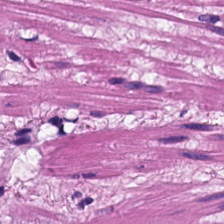FFPE; 20× equivalent magnification; H&E-stained tissue section. The tissue here is smooth muscle.
